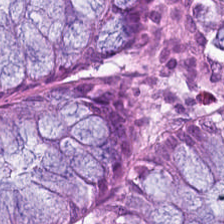Histology → non-neoplastic colon mucosa.
